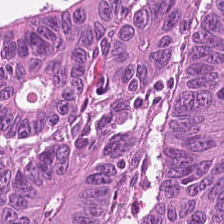H&E; FFPE; WSI patch. {"tissue_type": "colorectal adenocarcinoma epithelium"}
